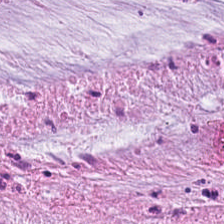This patch shows mucin.
